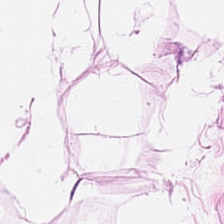Showing adipocytes.
